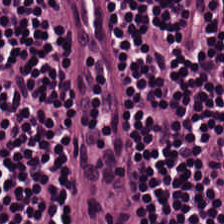H&E — lymphoid infiltrate.
